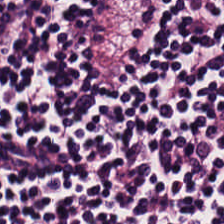WSI patch. Hematoxylin and eosin. 224×224 px patch — The predominant tissue is lymphocyte aggregate.
